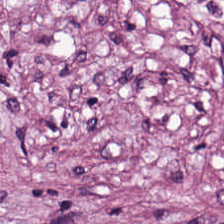Hematoxylin-and-eosin stained section; brightfield — Tissue type — tumor stroma.
